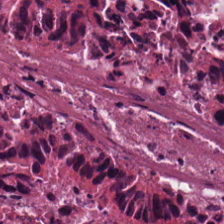H&E-stained tissue section showing cellular debris.
